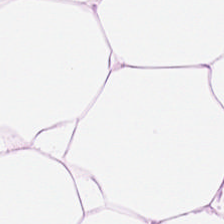Stain: hematoxylin-and-eosin stained section.
Acquisition: brightfield.
Classification: adipocytes.
